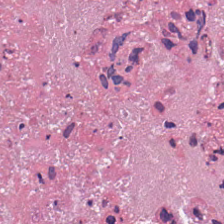H&E — Predominant tissue — necrotic debris.
